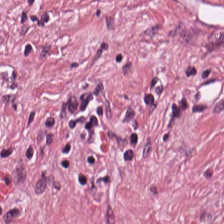H&E-stained tissue section. WSI patch. 0.5 µm/px.
The predominant tissue is cancer-associated stroma.
